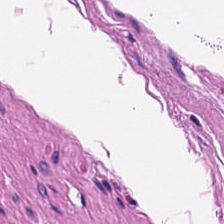Hematoxylin-and-eosin stained section — Tissue = smooth muscle.
